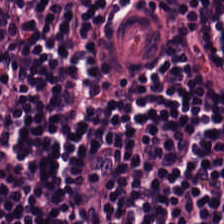Hematoxylin-and-eosin stained section; 0.5 µm per pixel.
Showing lymphocyte aggregate.
